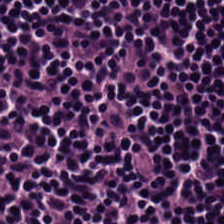H&E-stained tissue section. Q: What is shown here?
A: Lymphocytes.
